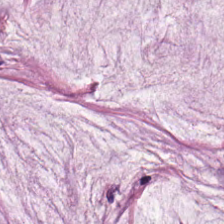H&E stain — The tissue class is mucin.
